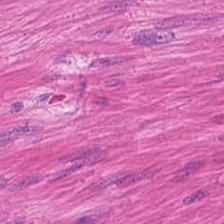Tissue = smooth-muscle tissue.
